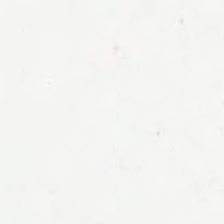No tissue present; background only.
